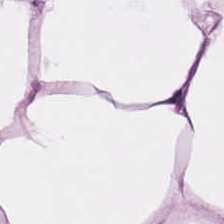Histology → adipocytes.
